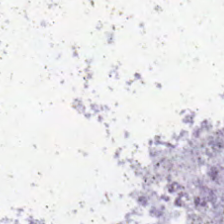224×224 px patch; hematoxylin-and-eosin stained section; FFPE — Q: What is shown here?
A: This is no tissue.
